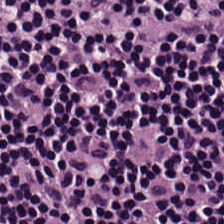Stain: hematoxylin-and-eosin stained section.
Resolution: 0.5 µm per pixel.
Tissue type: lymphoid infiltrate.
